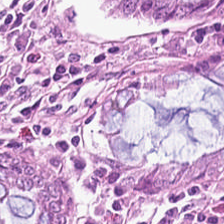Whole-slide-image patch · H&E-stained tissue section. {"tissue_type": "benign colonic mucosa"}
